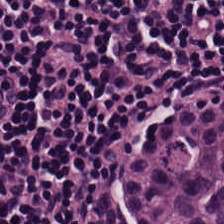Q: What is the predominant tissue type?
A: This is lymphocyte aggregate.
